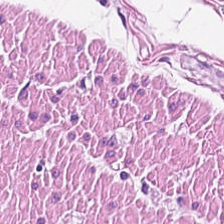Hematoxylin and eosin. The tissue type is smooth-muscle tissue.
